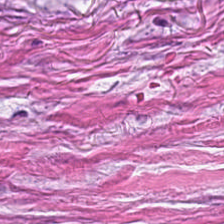H&E — This patch shows tumor-associated stroma.
